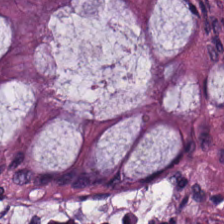224×224 px patch. FFPE. Hematoxylin and eosin — Q: What does this patch show?
A: This is normal colon mucosa.
